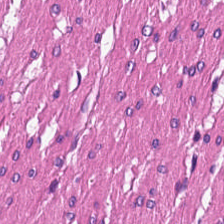Hematoxylin-and-eosin stained section. Q: What is shown here?
A: The field shows smooth muscle.
